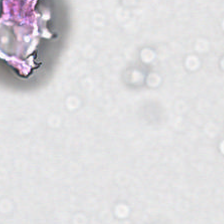Hematoxylin-and-eosin stained section — The content is no tissue.
